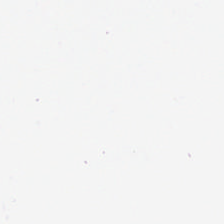Hematoxylin-and-eosin stained section.
Background — no tissue in this field.
